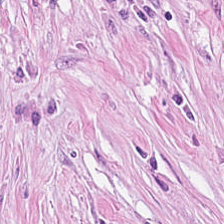Q: What is shown in this field?
A: It is tumor stroma.
